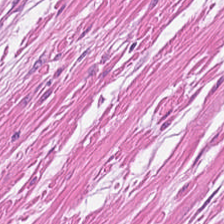0.5 microns per pixel · hematoxylin-and-eosin stained section · brightfield — Finding — smooth muscle.
